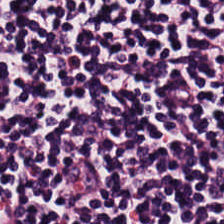Tissue type: lymphocytes.
